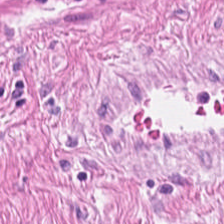Hematoxylin-and-eosin stained section. 224×224 pixel tile.
Tissue type — smooth muscle.
